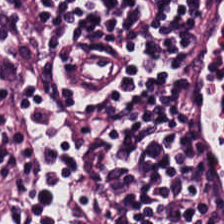H&E stain; FFPE tissue section. The predominant tissue is lymphoid infiltrate.
